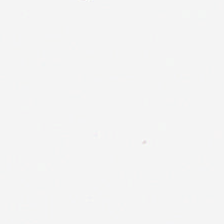Q: What does this patch show?
A: It is background.
